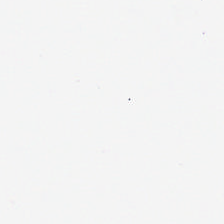H&E stain.
No tissue present; background only.
